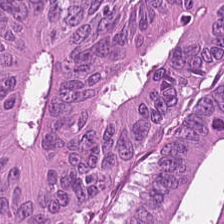20× equivalent magnification · H&E-stained tissue section · whole-slide-image patch.
The predominant tissue is malignant epithelium.
